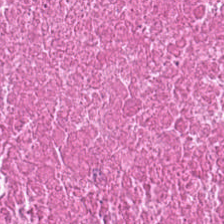The tissue here is debris.
